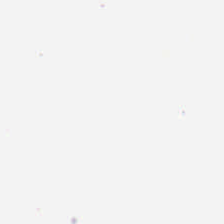Hematoxylin-and-eosin stained section — Q: What is shown here?
A: The field shows background (no tissue).
